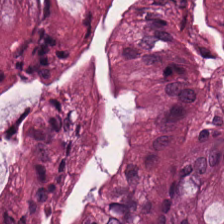H&E; 224×224 px patch — Predominantly non-neoplastic colon mucosa.
